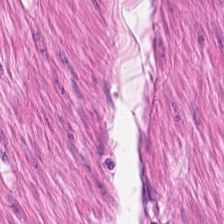Stain: hematoxylin-and-eosin stained section.
Classification: smooth-muscle tissue.
